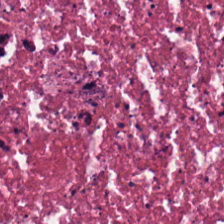Stain: H&E-stained tissue section.
Preparation: FFPE tissue section.
Resolution: 0.5 microns per pixel.
Tissue type: necrotic debris.
